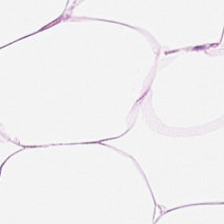20× equivalent magnification. H&E.
Tissue class — adipose tissue.
